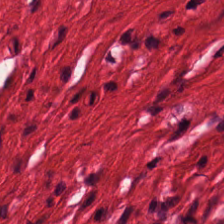Impression — muscularis.
